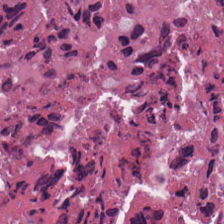H&E stain — Debris.
